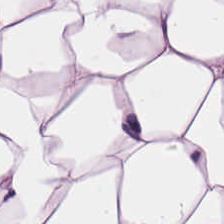H&E-stained tissue section. Showing adipocytes.
